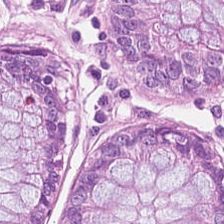This field is benign colonic mucosa.
